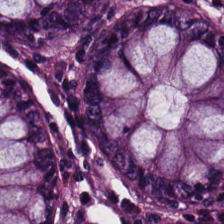Finding → normal colon mucosa.
